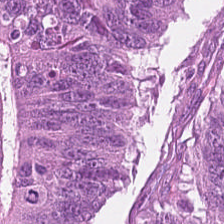H&E stain.
Q: What tissue is shown?
A: It is malignant epithelium.
